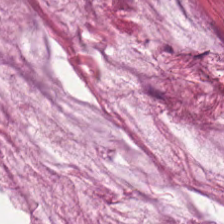20× equivalent magnification. Formalin-fixed paraffin-embedded section. H&E stain. Impression → mucus.
